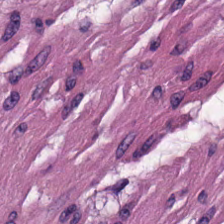Hematoxylin-and-eosin stained section. The tissue is smooth muscle.
